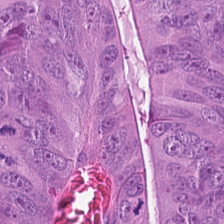Hematoxylin-and-eosin stained section.
This field is colorectal adenocarcinoma epithelium.
